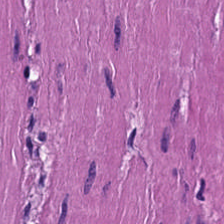H&E patch showing smooth muscle.
